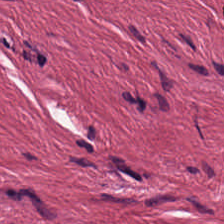H&E-stained section; the field shows cancer-associated stroma.
